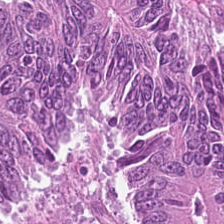224×224 px tile; H&E stain.
The predominant tissue is adenocarcinoma.
